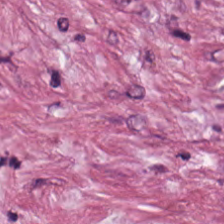Hematoxylin and eosin — {"tissue_type": "tumor-associated stroma"}
